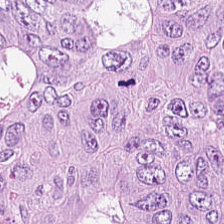H&E — tumor epithelium.
